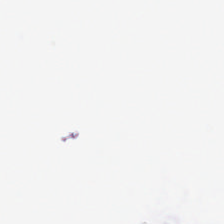H&E.
This field is background (no tissue).
